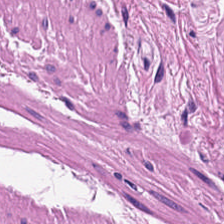Predominantly smooth-muscle tissue.
